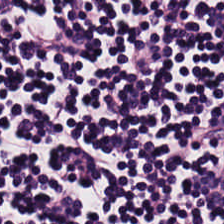Hematoxylin-and-eosin stained section; 224×224 px patch.
The tissue is lymphocytic infiltrate.
